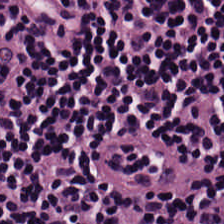Tissue type: lymphocytic infiltrate.
